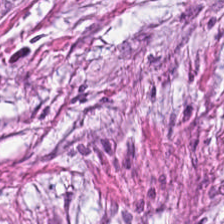H&E stain — The classification is tumor-associated stroma.
